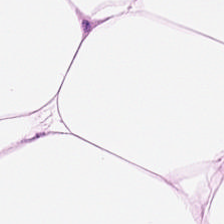H&E patch showing adipocytes.
